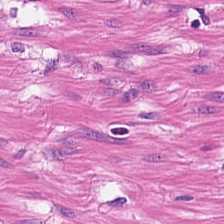H&E stain — Tissue — smooth-muscle tissue.
